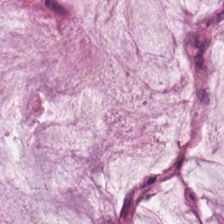Brightfield; H&E stain. Histology → extracellular mucin.
